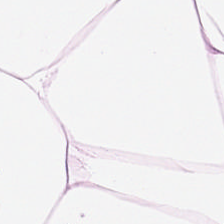Hematoxylin-and-eosin stained section — Tissue type = adipocytes.
